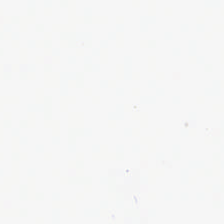Brightfield microscopy. Hematoxylin and eosin. Formalin-fixed paraffin-embedded section.
Q: What does this patch show?
A: Empty background.
